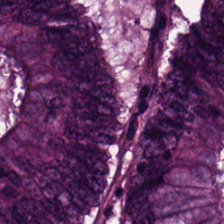Hematoxylin and eosin — Q: What is shown in this field?
A: The field shows adenocarcinoma.
